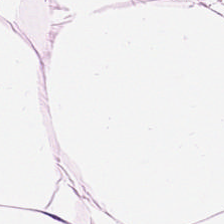Hematoxylin and eosin. This field is adipose.
